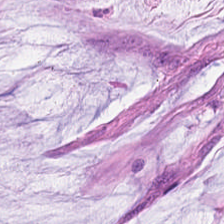Hematoxylin and eosin — Q: What is shown here?
A: Mucus.
